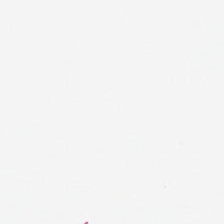Hematoxylin-and-eosin stained section · 20× equivalent magnification. Q: Classify this patch.
A: This is background.
